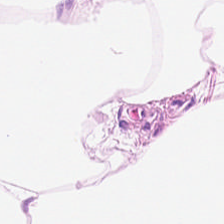H&E stain. Whole-slide-image patch. 20× equivalent magnification.
Q: What does this patch show?
A: The field shows adipocytes.
